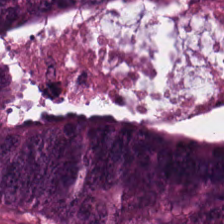H&E stain.
Histology → malignant epithelium.
